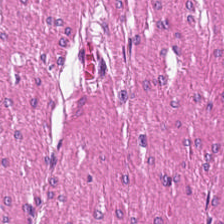Hematoxylin-and-eosin stained section — Showing muscularis.
